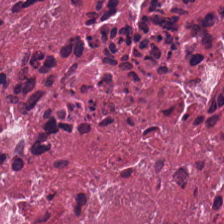Stain: hematoxylin and eosin.
Resolution: 0.5 µm/px.
Tissue type: cellular debris.
